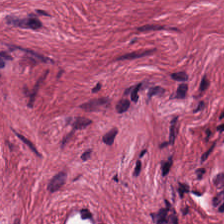Hematoxylin-and-eosin stained section.
Desmoplastic stroma.
